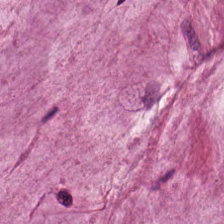H&E. Tissue type: mucus.
